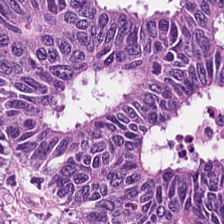Q: What tissue is shown?
A: Adenocarcinoma.
